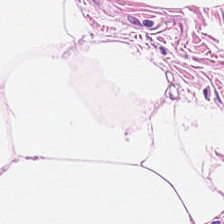FFPE; hematoxylin-and-eosin stained section.
Tissue — adipose tissue.
